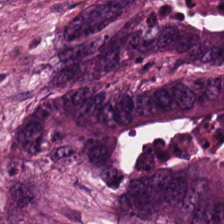Hematoxylin-and-eosin stained section.
Q: What tissue is shown?
A: This is tumor epithelium.
